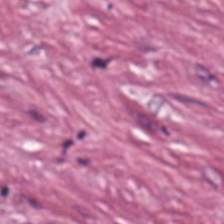Hematoxylin and eosin. Q: What is shown here?
A: It is tumor stroma.
